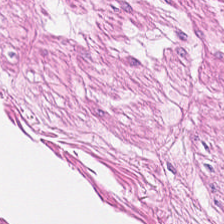H&E. Q: What does this patch show?
A: This is smooth muscle.
